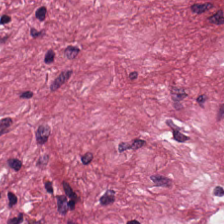0.5 microns per pixel. H&E. Q: What type of tissue is this?
A: This is desmoplastic stroma.
